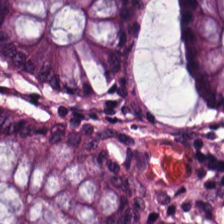Hematoxylin-and-eosin section: benign colonic mucosa.
